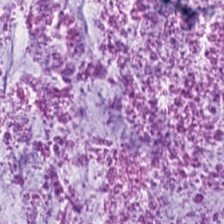H&E stain.
The classification is mucus.
